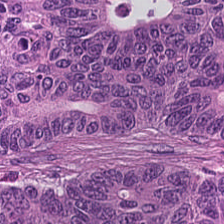H&E-stained tissue section. {"tissue_type": "tumor epithelium"}
